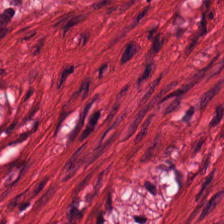Hematoxylin-and-eosin stained section — Showing smooth-muscle tissue.
